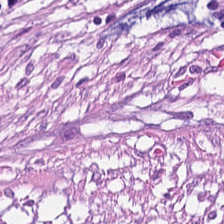H&E.
Q: What is the predominant tissue type?
A: Tumor stroma.
